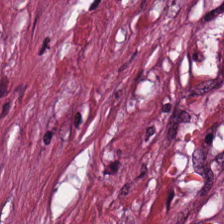Hematoxylin-and-eosin stained section. This field is desmoplastic stroma.
